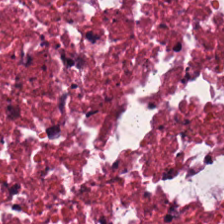Tissue type: debris.
